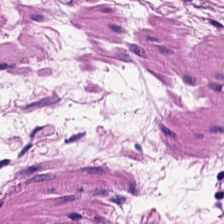H&E-stained tissue section. Q: Classify this patch.
A: Smooth-muscle tissue.
